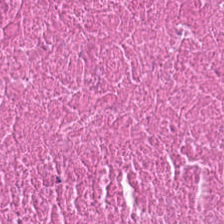FFPE tissue section · H&E-stained tissue section.
Q: What tissue is shown?
A: Necrotic debris.
